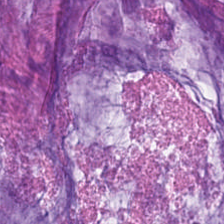224×224 px patch; H&E; FFPE tissue section.
Predominantly extracellular mucin.
